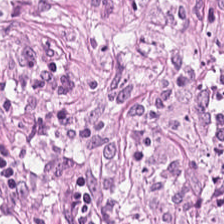Hematoxylin and eosin; FFPE. Predominant tissue — tumor-associated stroma.
